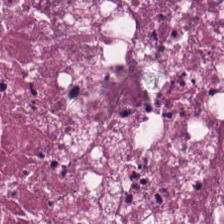H&E. WSI patch. Finding — necrotic debris.
